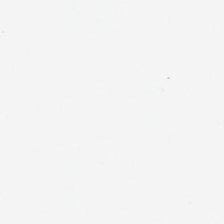H&E. Empty field — background.
